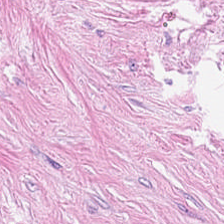Hematoxylin-and-eosin stained section. The tissue here is tumor-associated stroma.
